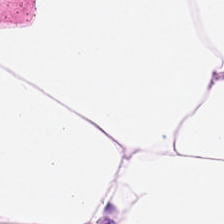Hematoxylin-and-eosin stained section. Q: What is shown in this field?
A: Adipocytes.
